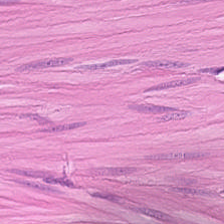Stain: H&E stain.
Tissue class: smooth-muscle tissue.
